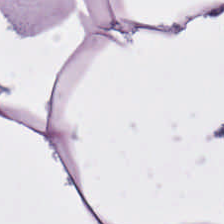0.5 µm/px; whole-slide-image patch; H&E. The tissue is adipose.
